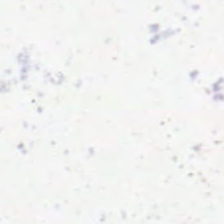224×224 px tile · H&E.
Empty field — no tissue.
